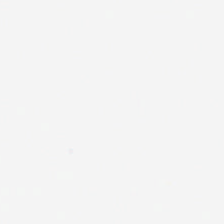H&E stain · 224×224 pixel tile. Empty background.
